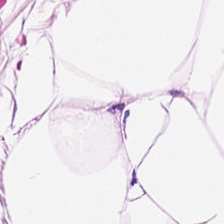H&E — Q: What tissue is shown?
A: This is fat tissue.
